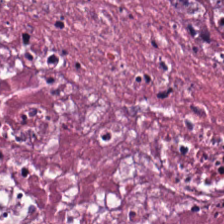H&E stain. Necrotic debris.
